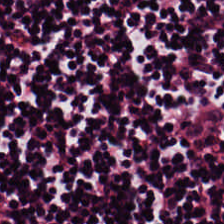H&E; 224×224 px tile.
The classification is lymphocytes.
